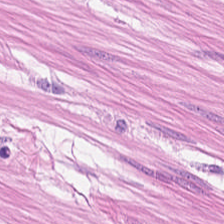H&E stain; FFPE — Muscularis.
